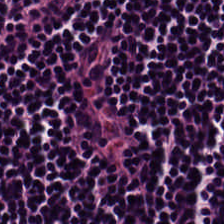Showing lymphocytes.
